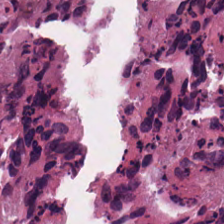Hematoxylin and eosin. FFPE. WSI patch.
The tissue here is debris.
